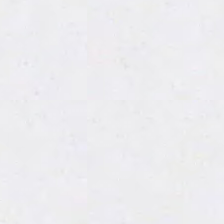H&E-stained tissue section · 0.5 microns per pixel · FFPE tissue section.
Impression → background (no tissue).
